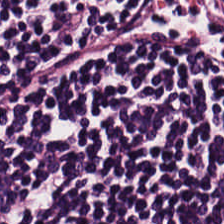Tissue: lymphoid infiltrate.
